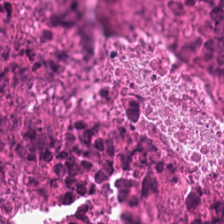Stain: hematoxylin and eosin.
Predominant tissue: cellular debris.
